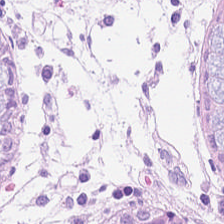H&E. Brightfield.
The tissue type is benign colonic mucosa.
